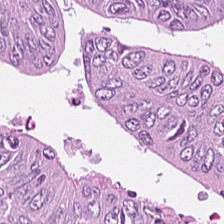Colorectal adenocarcinoma epithelium.
